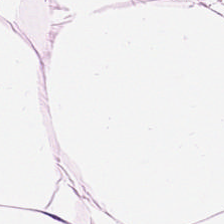Hematoxylin and eosin · 0.5 microns per pixel.
Impression → adipose.
